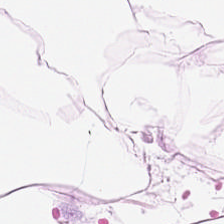224×224 pixel tile · hematoxylin and eosin · formalin-fixed paraffin-embedded section. Q: What type of tissue is this?
A: The field shows adipose tissue.
